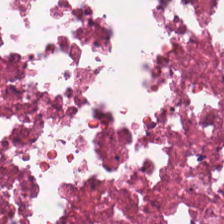FFPE; hematoxylin-and-eosin stained section; 224×224 pixel tile — Necrotic debris.
